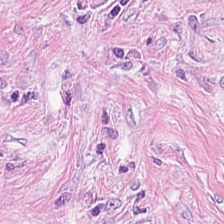H&E-stained tissue section showing desmoplastic stroma.
